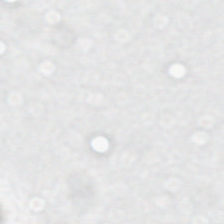Content: no tissue.
